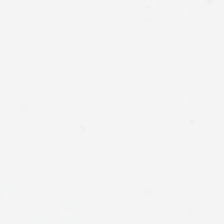H&E-stained tissue section.
No tissue present; background only.
